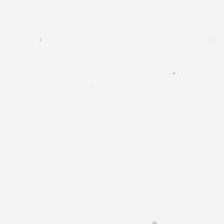224×224 px tile · hematoxylin-and-eosin stained section · FFPE tissue section. Content — background (no tissue).
